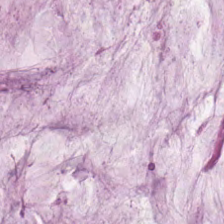FFPE tissue section · hematoxylin and eosin.
Tissue: mucin.
